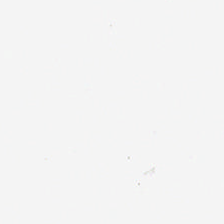224×224 pixel tile; 0.5 microns per pixel; hematoxylin-and-eosin stained section — This field is background (no tissue).
